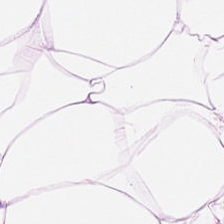Stain: H&E.
Preparation: FFPE tissue section.
Predominant tissue: adipose.
